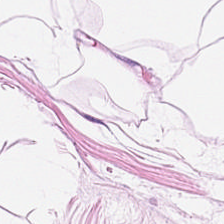224×224 pixel tile · H&E stain.
Predominant tissue: fat tissue.
